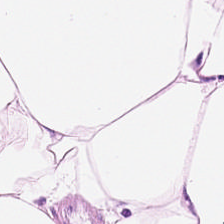0.5 microns per pixel; H&E; FFPE.
The predominant tissue is adipose.
